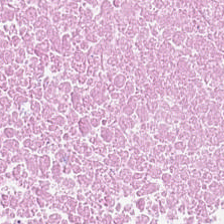This field is necrotic debris.
